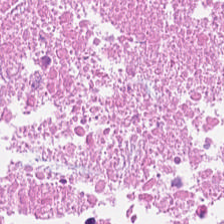H&E.
Q: What is shown in this field?
A: Cellular debris.
